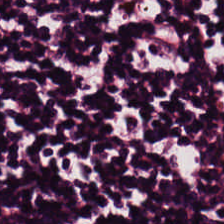The classification is lymphocytic infiltrate.
